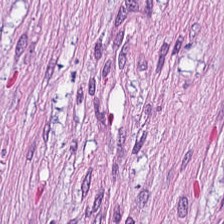Stain: H&E.
Acquisition: WSI patch.
Tissue type: tumor-associated stroma.
